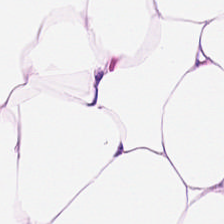H&E. Predominant tissue = adipocytes.
